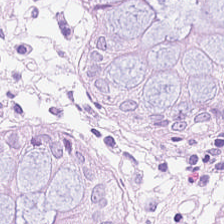Formalin-fixed paraffin-embedded section; H&E stain.
Normal colon mucosa.
